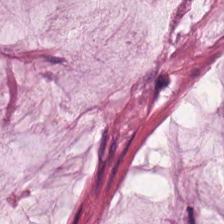H&E-stained section; the field shows mucus.
